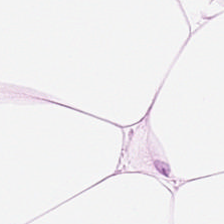Stain: H&E stain.
Predominant tissue: adipose.
